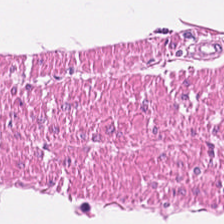Brightfield; H&E stain — Smooth-muscle tissue.
